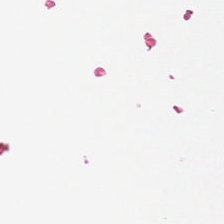Hematoxylin and eosin · brightfield microscopy. Q: What is shown in this field?
A: The field shows background (no tissue).
